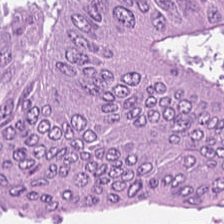Hematoxylin-and-eosin stained section — This field is colorectal adenocarcinoma epithelium.
